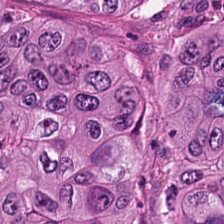H&E-stained tissue section. Finding → adenocarcinoma.
